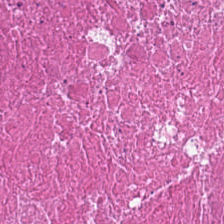H&E patch showing cellular debris.
